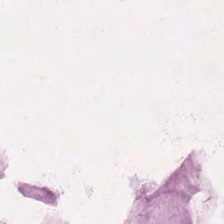H&E; FFPE — Q: What is the predominant tissue type?
A: It is mucin.
